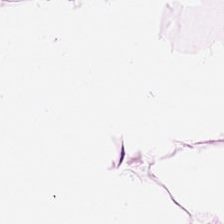H&E stain · 224×224 px patch · FFPE. Predominant tissue = fat tissue.
